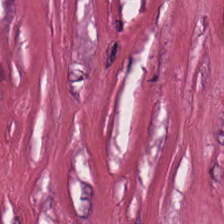224×224 px tile; whole-slide-image patch; hematoxylin-and-eosin stained section.
The tissue here is tumor stroma.
